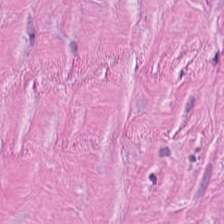0.5 µm/px; hematoxylin and eosin. Showing tumor stroma.
